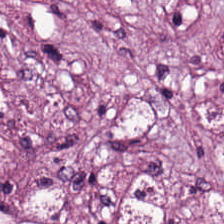Hematoxylin-and-eosin stained section.
Cancer-associated stroma.
